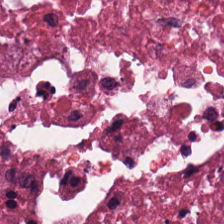Hematoxylin and eosin · 224×224 pixel tile — Tissue type — debris.
